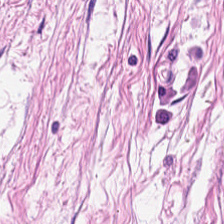H&E-stained tissue section showing cancer-associated stroma.
